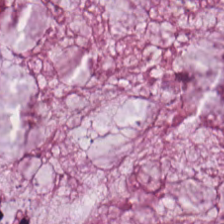The predominant tissue is extracellular mucin.
